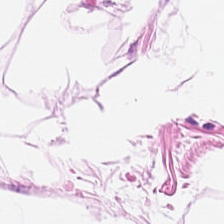H&E.
This field is fat tissue.
